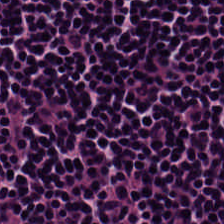H&E-stained tissue section.
The predominant tissue is lymphocytic infiltrate.
